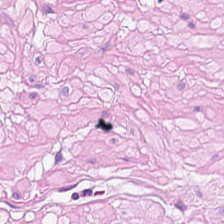H&E-stained section; the field shows smooth-muscle tissue.
